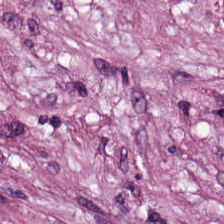H&E-stained section; the field shows tumor stroma.
